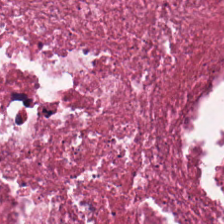H&E-stained tissue section. WSI patch — Tissue type — necrotic debris.
